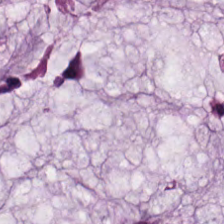H&E stain — {"tissue_type": "mucin"}
